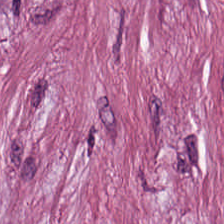Formalin-fixed paraffin-embedded section. H&E stain — Showing desmoplastic stroma.
